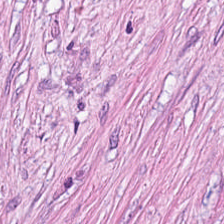H&E · FFPE tissue section · brightfield.
Q: What is the predominant tissue type?
A: It is cancer-associated stroma.
